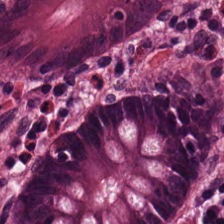Predominantly non-neoplastic colon mucosa.
